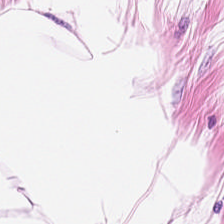H&E — adipose tissue.
